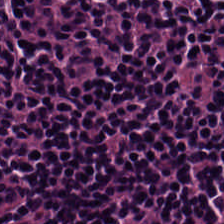Hematoxylin and eosin.
Predominant tissue — lymphocytic infiltrate.
